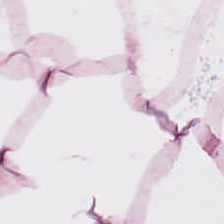Hematoxylin and eosin — Showing adipocytes.
